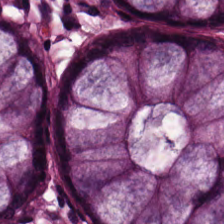Hematoxylin and eosin — Predominant tissue — non-neoplastic colon mucosa.
